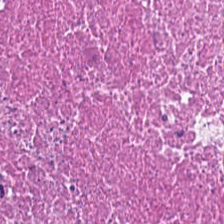H&E-stained tissue section — Tissue type = necrotic debris.
